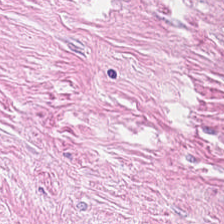0.5 µm/px. H&E stain. Whole-slide-image patch — Q: What is shown here?
A: The field shows tumor stroma.
